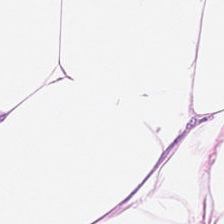Tissue = adipose tissue.
